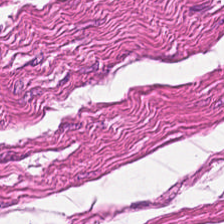H&E-stained section; the field shows smooth muscle.
